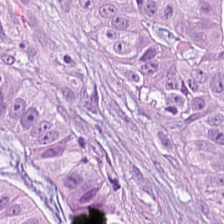The predominant tissue is malignant epithelium.
